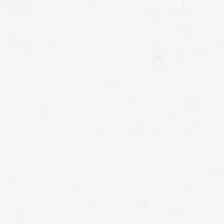H&E stain; brightfield microscopy — This field is background (no tissue).
